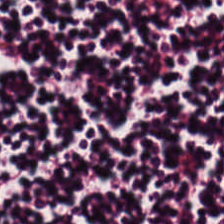Hematoxylin and eosin.
Predominant tissue: lymphoid infiltrate.
